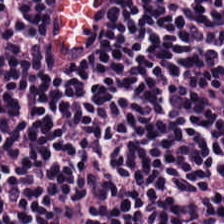Stain: hematoxylin-and-eosin stained section.
Preparation: FFPE tissue section.
Acquisition: WSI patch.
Classification: lymphocytic infiltrate.
